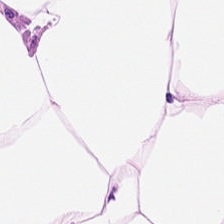20× equivalent magnification. H&E — Adipocytes.
